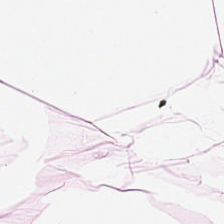0.5 microns per pixel; H&E stain.
Q: What is shown in this field?
A: It is fat tissue.
